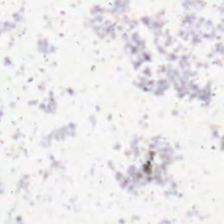Hematoxylin-and-eosin stained section — Impression — no tissue.
